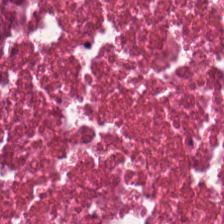224×224 px patch; H&E. {"tissue_type": "debris"}
